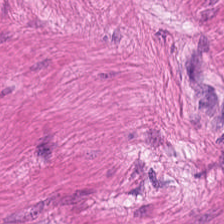Tissue class = muscularis.
